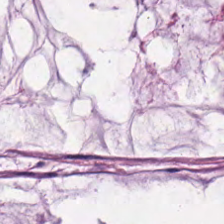Hematoxylin and eosin. 224×224 px tile. The tissue here is extracellular mucin.
